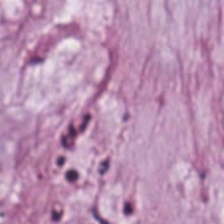Brightfield · H&E-stained tissue section — Q: What is shown here?
A: The field shows extracellular mucin.
